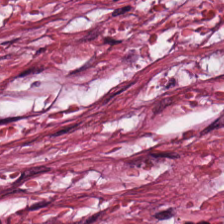The classification is tumor-associated stroma.
